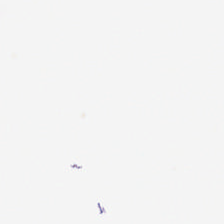H&E stain.
Background — no tissue in this field.
